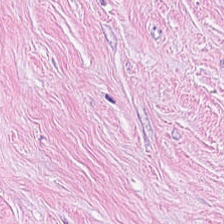224×224 px patch; brightfield microscopy; hematoxylin-and-eosin stained section. Predominantly tumor stroma.
